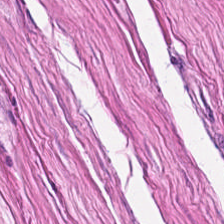H&E-stained tissue section — This patch shows smooth muscle.
